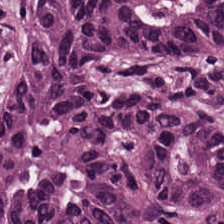H&E. The predominant tissue is colorectal adenocarcinoma.
